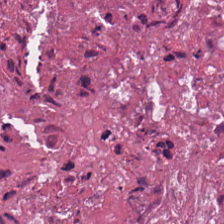224×224 px patch. WSI patch. Hematoxylin-and-eosin stained section — {"tissue_type": "cellular debris"}
